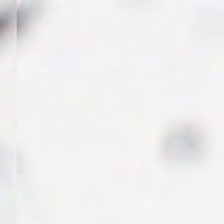Content: no tissue.
